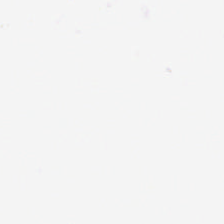Hematoxylin-and-eosin stained section.
This patch shows no tissue.
